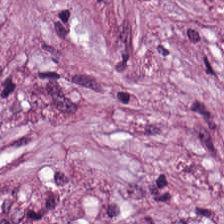Hematoxylin and eosin.
Histology → tumor-associated stroma.
